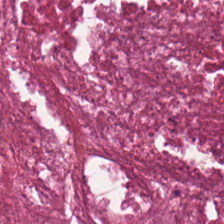H&E-stained tissue section.
Q: What is the predominant tissue type?
A: Cellular debris.
